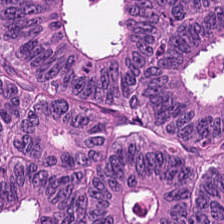Stain: hematoxylin-and-eosin stained section.
Resolution: 20× equivalent magnification.
Classification: colorectal adenocarcinoma.
